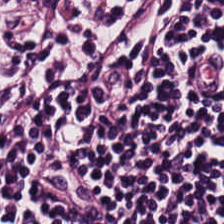Stain: H&E-stained tissue section.
Classification: lymphocytes.
